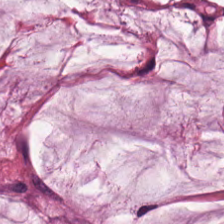H&E-stained tissue section. Classification: extracellular mucin.
